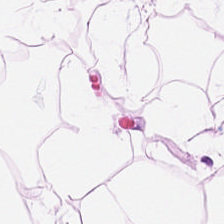0.5 µm per pixel; H&E; brightfield microscopy.
Q: Classify this patch.
A: It is fat tissue.
